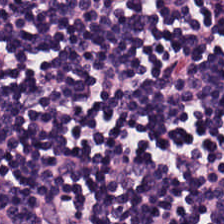The classification is lymphoid infiltrate.
